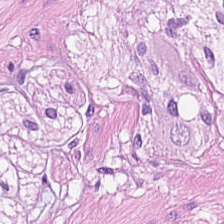H&E stain.
Q: What tissue is shown?
A: The field shows smooth-muscle tissue.
